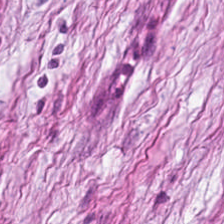Stain: H&E-stained tissue section.
Tissue: tumor stroma.
